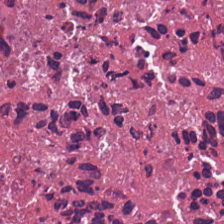Stain: H&E.
Preparation: FFPE tissue section.
Classification: debris.
